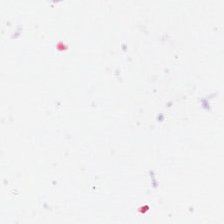H&E · whole-slide-image patch — No tissue present; background only.
